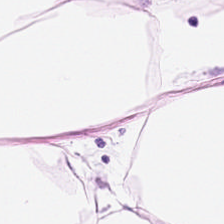FFPE; H&E-stained tissue section. Showing adipocytes.
